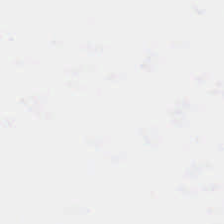H&E.
Classification — empty background.
